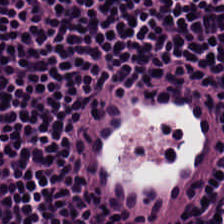The tissue type is lymphocytes.
